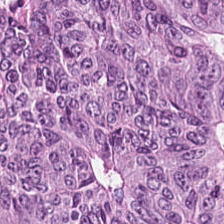0.5 µm/px · brightfield · H&E.
Predominant tissue — malignant epithelium.
